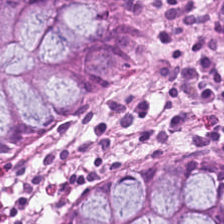H&E stain.
Non-neoplastic colon mucosa.
